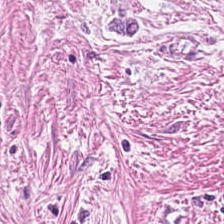WSI patch. Hematoxylin and eosin. This field is cancer-associated stroma.
